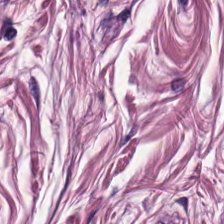The tissue is smooth muscle.
